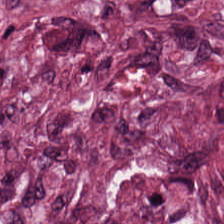H&E stain. Tissue class: tumor-associated stroma.
